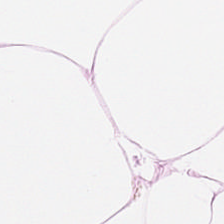224×224 px patch; hematoxylin-and-eosin stained section. Fat tissue.
